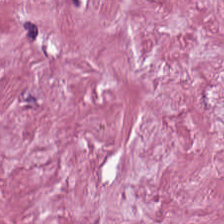Stain: H&E.
Tissue: cancer-associated stroma.
